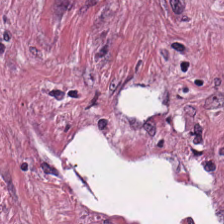224×224 px tile. Hematoxylin and eosin. Q: Classify this patch.
A: This is tumor stroma.
